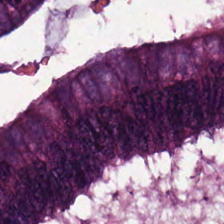Hematoxylin-and-eosin stained section. Impression — colorectal adenocarcinoma epithelium.
